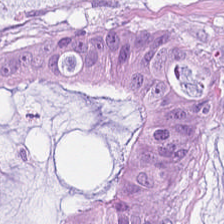0.5 µm per pixel; hematoxylin-and-eosin stained section.
Histology — mucus.
